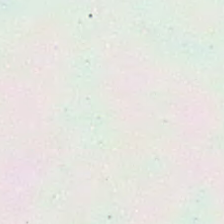Q: Classify this patch.
A: Empty background.
